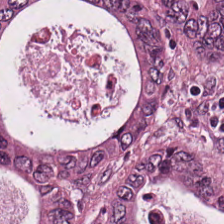Hematoxylin and eosin · 0.5 µm/px · 224×224 px tile — The tissue class is colorectal adenocarcinoma epithelium.
